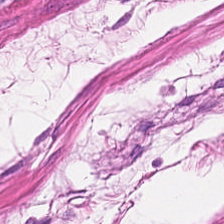H&E-stained tissue section — This patch shows smooth-muscle tissue.
